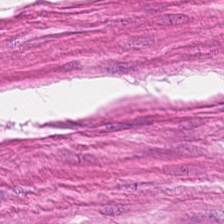H&E — Classification = muscularis.
